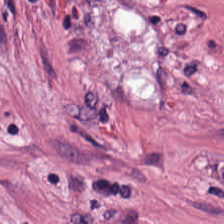224×224 px patch; H&E stain. Q: What type of tissue is this?
A: This is cancer-associated stroma.
